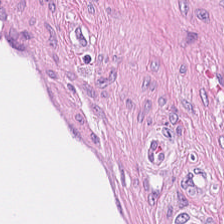0.5 microns per pixel · H&E stain · 224×224 px patch. Showing desmoplastic stroma.
